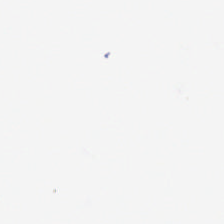Classification: background.
